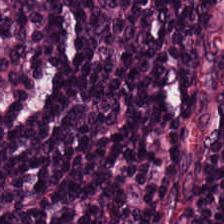Hematoxylin-and-eosin stained section.
The predominant tissue is lymphocytic infiltrate.
